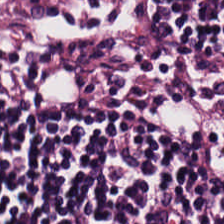H&E stain. This patch shows lymphocyte aggregate.
